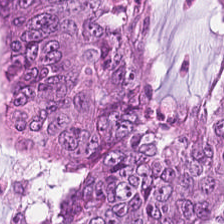Adenocarcinoma.
